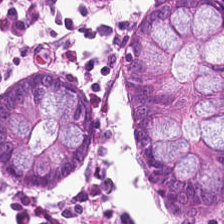H&E-stained tissue section — The predominant tissue is benign colonic mucosa.
